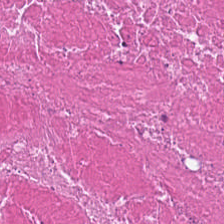Finding → debris.
